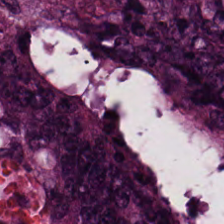20× equivalent magnification. Whole-slide-image patch. Hematoxylin-and-eosin stained section.
Colorectal adenocarcinoma epithelium.
